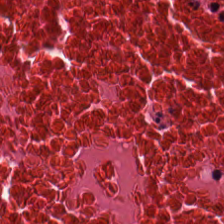Hematoxylin-and-eosin stained section — This field is debris.
